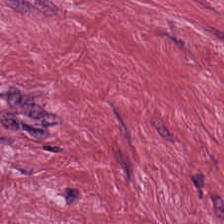Q: What is the predominant tissue type?
A: This is cancer-associated stroma.
